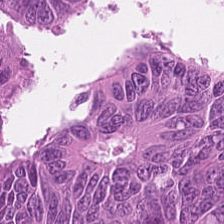Tissue type — malignant epithelium.
